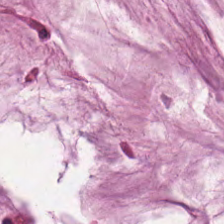H&E-stained tissue section; 20× equivalent magnification.
The tissue here is mucin.
